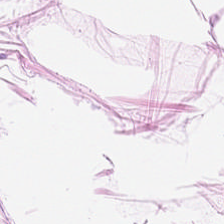FFPE. H&E stain. 224×224 px patch — This patch shows adipocytes.
